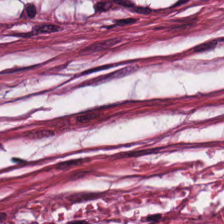H&E.
Predominantly desmoplastic stroma.
